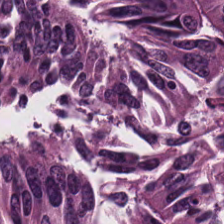Tissue class — colorectal adenocarcinoma epithelium.
